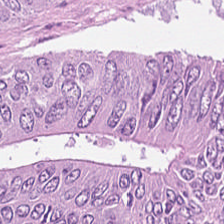Q: What is shown here?
A: Colorectal adenocarcinoma.
